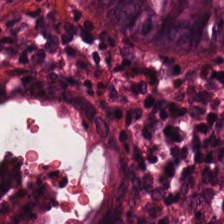This patch shows benign colonic mucosa.
